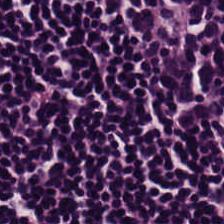Stain: H&E-stained tissue section.
Classification: lymphoid infiltrate.
